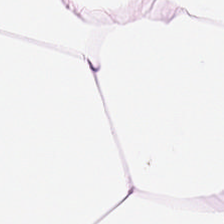H&E stain. Brightfield. This patch shows fat tissue.
